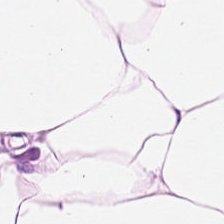Hematoxylin and eosin.
This patch shows adipocytes.
